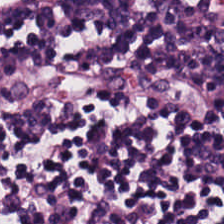Hematoxylin-and-eosin stained section. Brightfield. Formalin-fixed paraffin-embedded section.
Classification — lymphocytic infiltrate.
